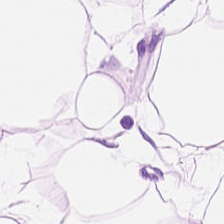Tissue — fat tissue.
